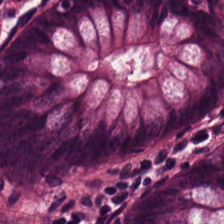H&E — normal colonic mucosa.
